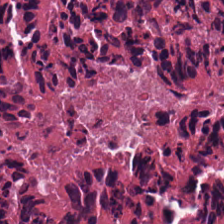WSI patch; 20× equivalent magnification; H&E-stained tissue section — Q: Identify the tissue.
A: Cellular debris.
